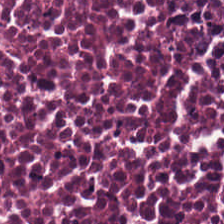20× equivalent magnification · H&E. Predominantly debris.
